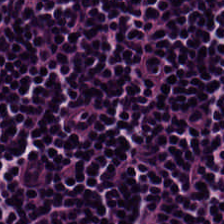FFPE; hematoxylin and eosin; 224×224 pixel tile.
The predominant tissue is lymphocyte aggregate.
